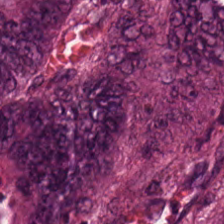Hematoxylin and eosin — Predominantly mucus.
